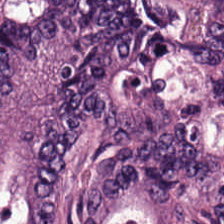Hematoxylin-and-eosin stained section.
Predominantly tumor epithelium.
